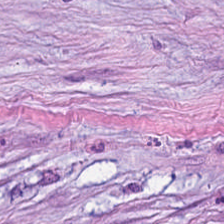The tissue here is cancer-associated stroma.
